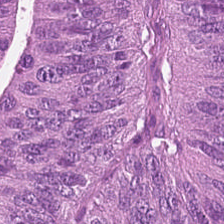Predominant tissue — tumor epithelium.
